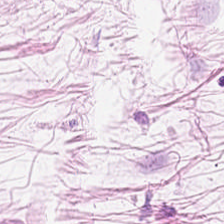Tissue = adipose tissue.
